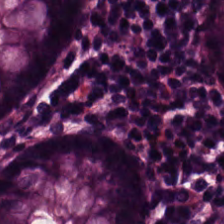H&E-stained tissue section — Benign colonic mucosa.
